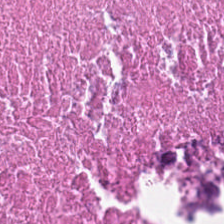H&E stain — {"tissue_type": "necrotic debris"}
